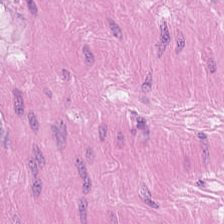Stain: hematoxylin-and-eosin stained section.
Acquisition: brightfield.
Tissue class: smooth-muscle tissue.
